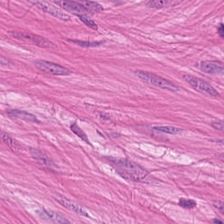Hematoxylin-and-eosin stained section. Predominantly smooth muscle.
